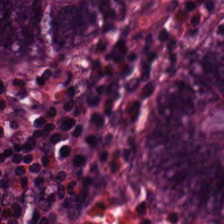Hematoxylin-and-eosin stained section. This patch shows normal colonic mucosa.
